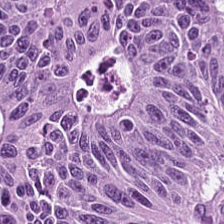Hematoxylin and eosin. Q: Classify this patch.
A: It is malignant epithelium.
